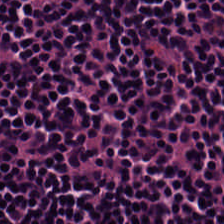Q: What is the predominant tissue type?
A: Lymphocyte aggregate.
